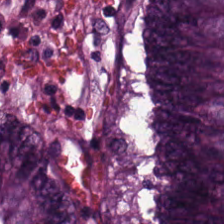0.5 µm/px · FFPE tissue section · H&E — Tissue class: adenocarcinoma.
